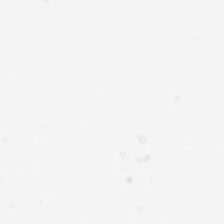Stain: H&E.
Field content: no tissue.
